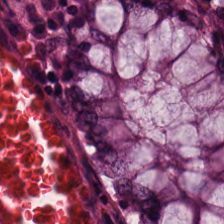Stain: hematoxylin and eosin.
Resolution: 0.5 µm per pixel.
Acquisition: brightfield.
Tissue class: normal colon mucosa.
